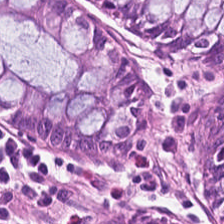Tissue type — normal colonic mucosa.
